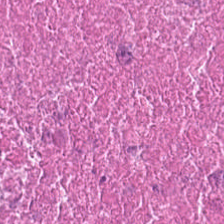The predominant tissue is necrotic debris.
